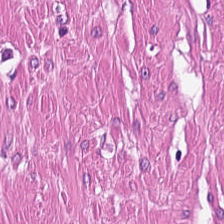H&E. WSI patch. 224×224 px tile.
Predominantly muscularis.
